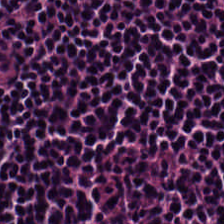Hematoxylin-and-eosin stained section — The predominant tissue is lymphoid infiltrate.
